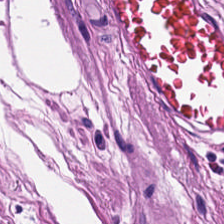WSI patch; hematoxylin and eosin — Q: What type of tissue is this?
A: It is smooth muscle.
